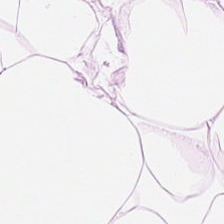Hematoxylin-and-eosin stained section. 0.5 µm/px. FFPE tissue section — Adipose tissue.
